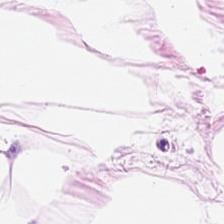Stain: H&E stain.
Preparation: FFPE.
Tissue type: adipocytes.
